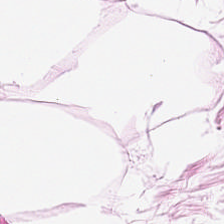Predominant tissue: adipocytes.
